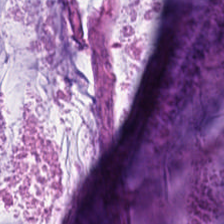WSI patch · H&E stain.
The tissue is extracellular mucin.
